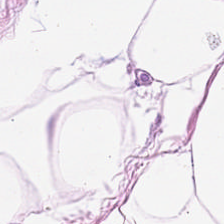Q: What does this patch show?
A: This is adipose.
